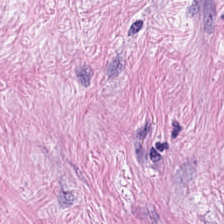Hematoxylin and eosin.
This patch shows tumor stroma.
